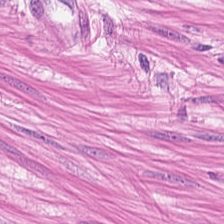224×224 px patch; H&E stain — Q: Classify this patch.
A: Muscularis.
